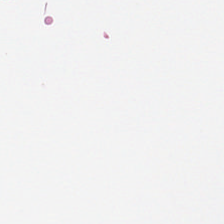Hematoxylin-and-eosin stained section.
The classification is empty background.
